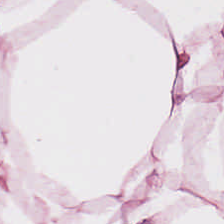Stain: hematoxylin and eosin.
Classification: adipocytes.
